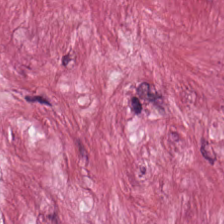Hematoxylin-and-eosin stained section. The predominant tissue is desmoplastic stroma.
